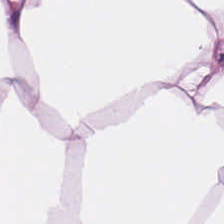Q: Classify this patch.
A: It is adipocytes.
